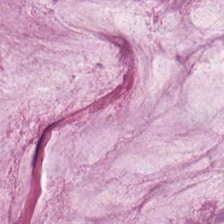20× equivalent magnification. Hematoxylin and eosin. 224×224 pixel tile. Q: What is shown here?
A: It is extracellular mucin.
